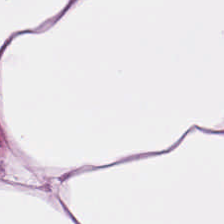H&E.
This patch shows adipose.
